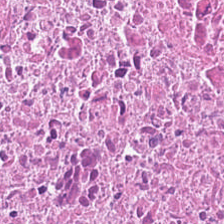Q: What does this patch show?
A: Debris.
